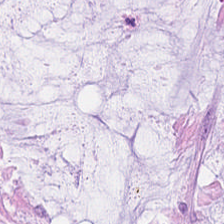H&E stain. Predominantly mucin.
